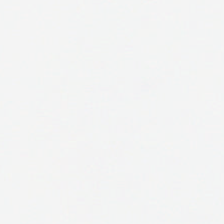H&E — Field content = empty background.
